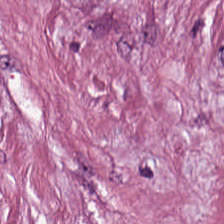H&E stain. 0.5 µm/px. The tissue here is tumor-associated stroma.
